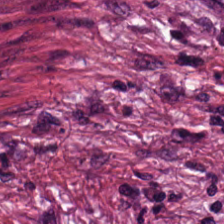Stain: H&E.
Tissue: desmoplastic stroma.
